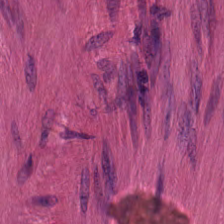H&E-stained tissue section — Showing smooth muscle.
